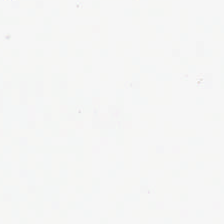Hematoxylin-and-eosin stained section.
Classification = no tissue.
